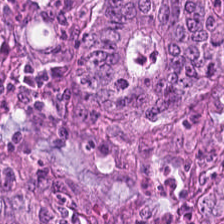Hematoxylin and eosin — Predominant tissue: tumor epithelium.
